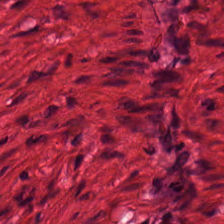Hematoxylin and eosin.
Tissue type: smooth-muscle tissue.
